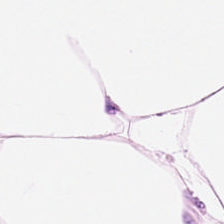Stain: H&E stain.
Tissue class: adipose tissue.
